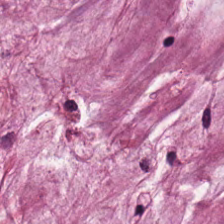{"tissue_type": "mucin"}
